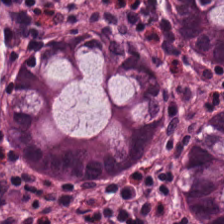Whole-slide-image patch; hematoxylin-and-eosin stained section — Histology → normal colonic mucosa.
